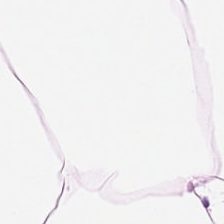0.5 µm per pixel. Hematoxylin-and-eosin stained section — Q: What does this patch show?
A: It is fat tissue.
